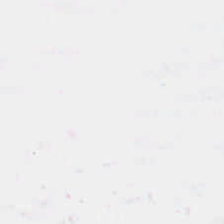Content: background (no tissue).
